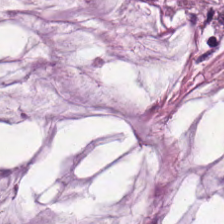H&E · 224×224 px patch · FFPE. This patch shows extracellular mucin.
